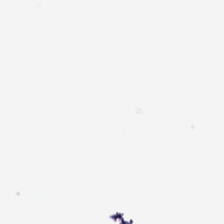Hematoxylin and eosin.
The classification is empty background.
